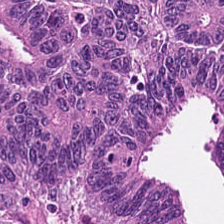H&E — adenocarcinoma.
